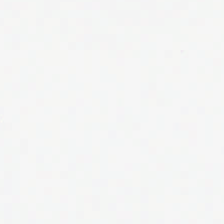Hematoxylin-and-eosin stained section. Field content — no tissue.
